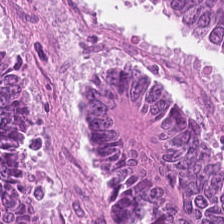H&E; brightfield microscopy; 224×224 pixel tile — Malignant epithelium.
